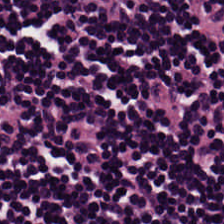0.5 µm/px. H&E-stained tissue section. Q: What is shown here?
A: This is lymphoid infiltrate.
